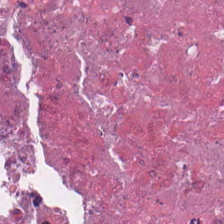This patch shows necrotic debris.
